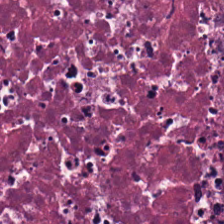This field is necrotic debris.
